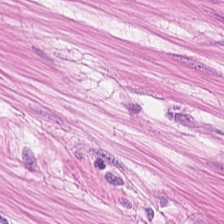Stain: hematoxylin and eosin.
Tissue class: muscularis.
